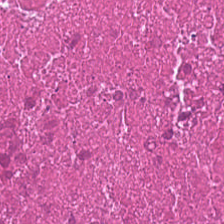224×224 px tile. FFPE tissue section. H&E-stained tissue section — {"tissue_type": "necrotic debris"}
